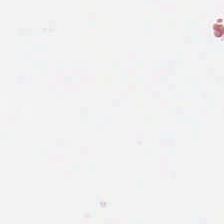Classification — background.
